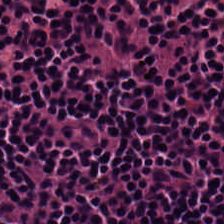Tissue: lymphocytes.
